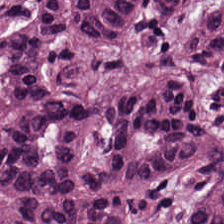H&E stain; 224×224 pixel tile; whole-slide-image patch — Predominantly colorectal adenocarcinoma epithelium.
